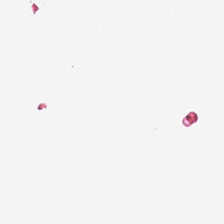Hematoxylin-and-eosin stained section; 0.5 µm per pixel; 224×224 px tile. Field content — background (no tissue).
